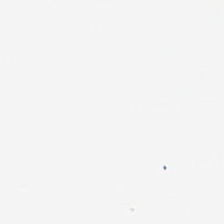H&E-stained tissue section — Finding — background (no tissue).
